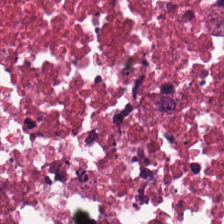H&E-stained tissue section. 224×224 pixel tile. 0.5 microns per pixel. Q: Classify this patch.
A: Necrotic debris.
